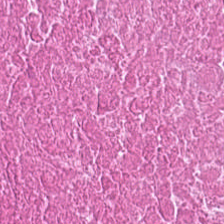Histology → cellular debris.
